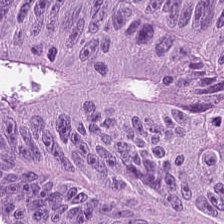H&E — This patch shows colorectal adenocarcinoma.
